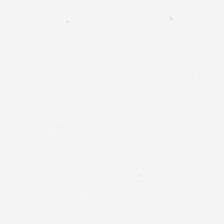Stain: hematoxylin and eosin.
Field content: no tissue.
